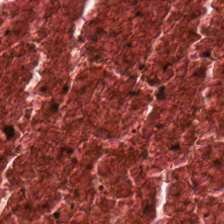H&E-stained tissue section — Predominantly cellular debris.
